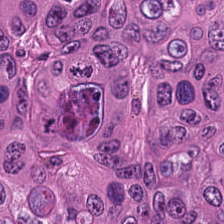Hematoxylin-and-eosin stained section · 224×224 px patch. Impression — adenocarcinoma.
